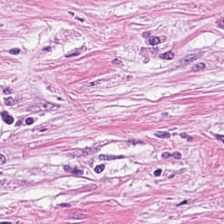The tissue class is tumor-associated stroma.
